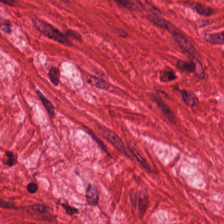224×224 px tile. Hematoxylin-and-eosin stained section. Predominantly smooth-muscle tissue.
